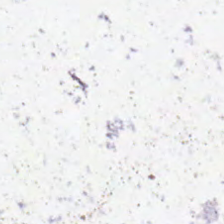Hematoxylin-and-eosin stained section. Content: background (no tissue).
